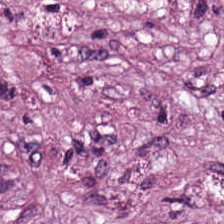Hematoxylin-and-eosin stained section. 0.5 µm per pixel. Tumor stroma.
